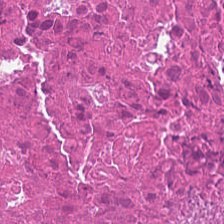Stain: hematoxylin-and-eosin stained section.
Tissue type: debris.
